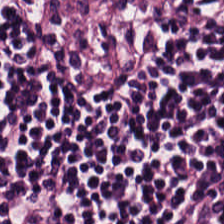Hematoxylin-and-eosin stained section.
Finding — lymphocyte aggregate.
